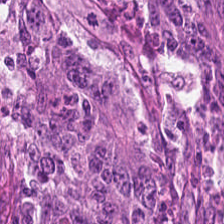0.5 microns per pixel; hematoxylin and eosin. The predominant tissue is colorectal adenocarcinoma epithelium.
